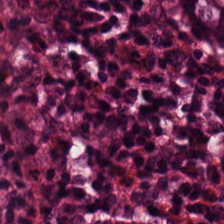224×224 px tile · FFPE · hematoxylin-and-eosin stained section — Tissue type — benign colonic mucosa.
